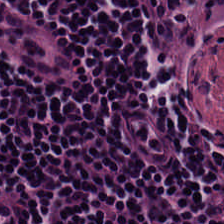Stain: hematoxylin-and-eosin stained section.
Tissue type: lymphocytic infiltrate.
